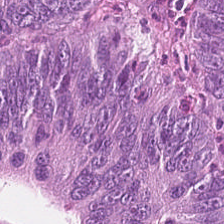Hematoxylin and eosin. Predominantly adenocarcinoma.
